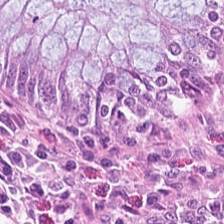H&E-stained tissue section — This patch shows non-neoplastic colon mucosa.
